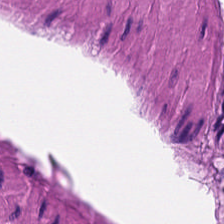H&E stain.
Muscularis.
